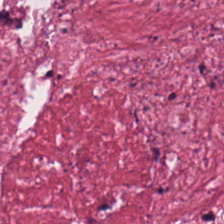Hematoxylin and eosin. Q: What is the predominant tissue type?
A: The field shows cancer-associated stroma.
